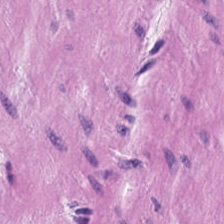224×224 px patch; hematoxylin and eosin; brightfield microscopy. Q: What is shown here?
A: Smooth-muscle tissue.
